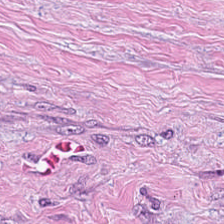Hematoxylin and eosin.
{"tissue_type": "cancer-associated stroma"}
